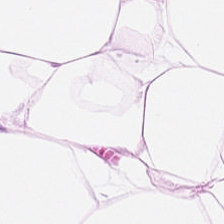Q: What type of tissue is this?
A: This is adipocytes.
